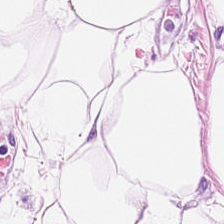H&E.
Q: Identify the tissue.
A: It is adipose.
